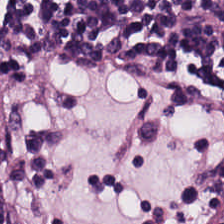H&E stain. Finding — lymphocyte aggregate.
